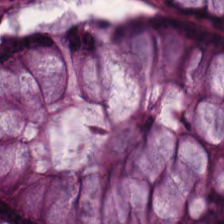Brightfield · H&E stain — Q: What type of tissue is this?
A: This is benign colonic mucosa.
